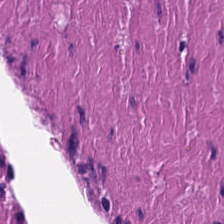Tissue type: smooth-muscle tissue.
